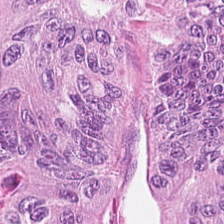20× equivalent magnification; hematoxylin-and-eosin stained section. Predominantly malignant epithelium.
